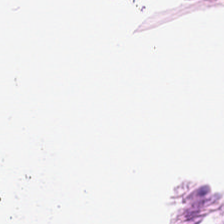Tissue class — fat tissue.
